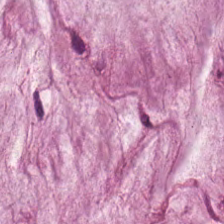H&E · 224×224 pixel tile.
Tissue = mucus.
